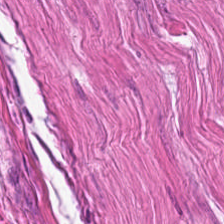H&E stain. Q: What is the predominant tissue type?
A: This is smooth muscle.
